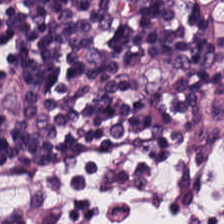H&E stain — This patch shows lymphocytic infiltrate.
